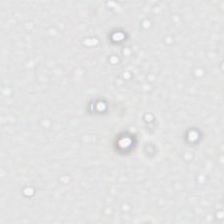Background — no tissue in this field.
